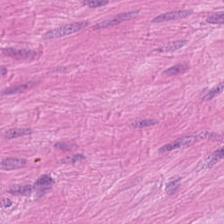Q: What is the predominant tissue type?
A: The field shows smooth-muscle tissue.
